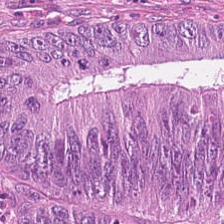H&E; 224×224 px patch; formalin-fixed paraffin-embedded section. Predominant tissue: tumor epithelium.
